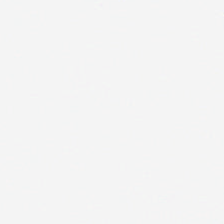Hematoxylin-and-eosin stained section. Impression — empty background.
